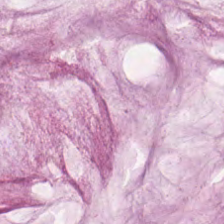0.5 microns per pixel · hematoxylin and eosin — The tissue class is mucin.
